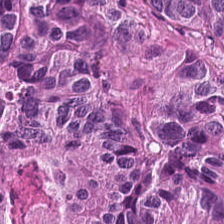Stain: hematoxylin-and-eosin stained section.
Classification: tumor epithelium.
